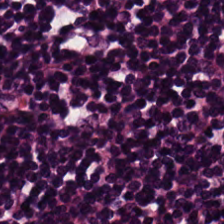0.5 µm/px; H&E stain; formalin-fixed paraffin-embedded section. Showing lymphocytes.
